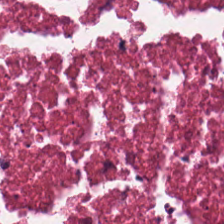Predominant tissue: debris.
